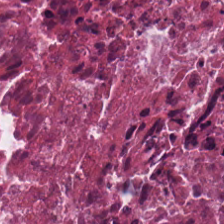Brightfield; H&E stain. {"tissue_type": "cellular debris"}
